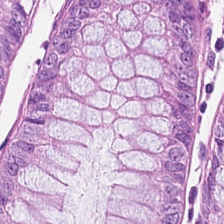H&E-stained tissue section. FFPE.
Finding → normal colonic mucosa.
